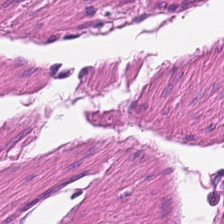H&E.
Predominant tissue = muscularis.
